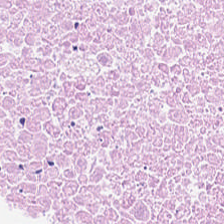H&E stain.
Classification: cellular debris.
